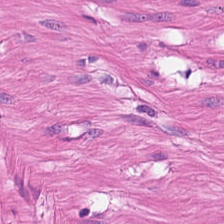Brightfield microscopy; FFPE; H&E-stained tissue section. Tissue class = muscularis.
